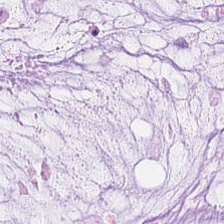224×224 px tile. Hematoxylin-and-eosin stained section. Tissue class — mucus.
